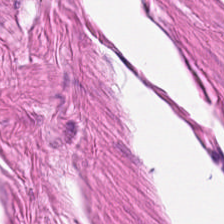Stain: H&E-stained tissue section.
Tissue class: smooth muscle.
